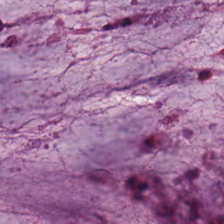H&E patch showing extracellular mucin.
